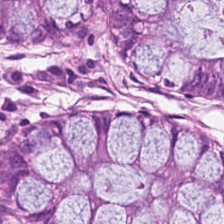H&E stain; 224×224 px patch; formalin-fixed paraffin-embedded section. Tissue — benign colonic mucosa.
